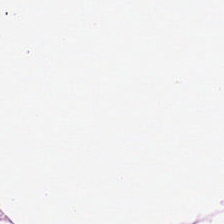Hematoxylin and eosin. Impression → adipocytes.
